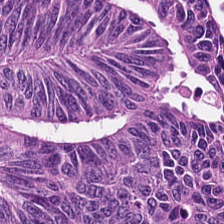H&E.
Showing colorectal adenocarcinoma epithelium.
